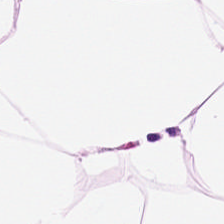H&E-stained tissue section.
Q: What is shown here?
A: The field shows adipose.
